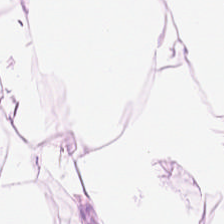FFPE. H&E-stained tissue section. WSI patch. Adipose.
